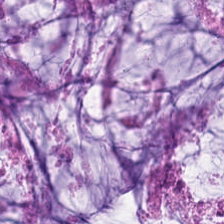Stain: hematoxylin and eosin.
Tile size: 224×224 px patch.
Tissue: mucin.
